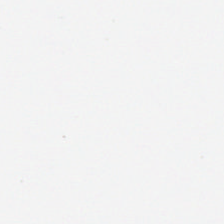This field is background (no tissue).
